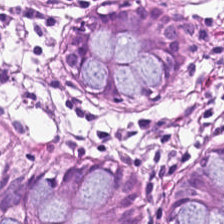Hematoxylin-and-eosin stained section; 224×224 pixel tile.
Q: What does this patch show?
A: This is normal colonic mucosa.
